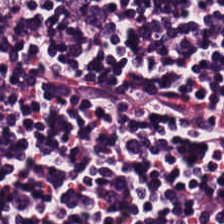FFPE tissue section · H&E — Impression — lymphocytes.
